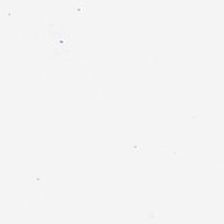Hematoxylin-and-eosin stained section.
Classification: empty background.
